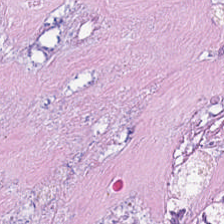H&E · FFPE · 20× equivalent magnification — Tissue class — necrotic debris.
